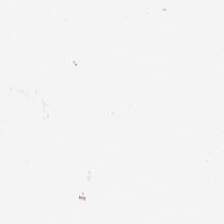H&E. This patch shows no tissue.
